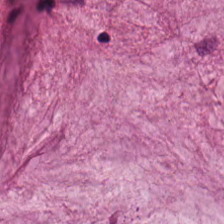H&E stain. Impression — mucin.
